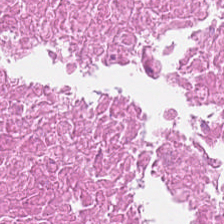H&E-stained tissue section · FFPE · 20× equivalent magnification.
This field is cellular debris.
